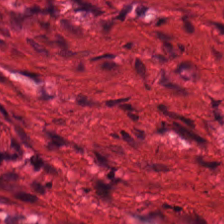H&E stain.
{"tissue_type": "smooth muscle"}
